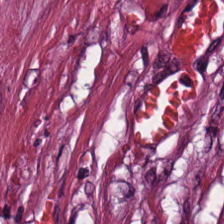Hematoxylin-and-eosin stained section — The predominant tissue is cancer-associated stroma.
